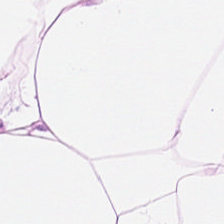The predominant tissue is adipocytes.
